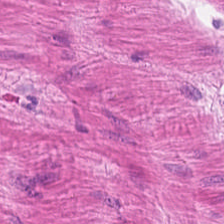Whole-slide-image patch; H&E-stained tissue section; 224×224 pixel tile. Predominantly muscularis.
